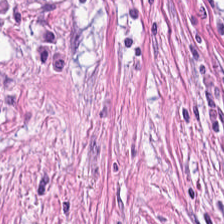H&E — cancer-associated stroma.
